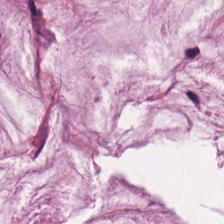Hematoxylin and eosin — The predominant tissue is extracellular mucin.
